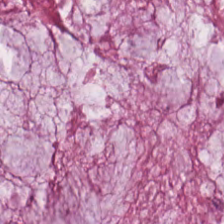Q: What tissue type is shown here?
A: The field shows extracellular mucin.
